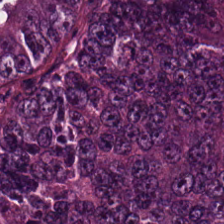Stain: hematoxylin-and-eosin stained section.
Classification: malignant epithelium.
